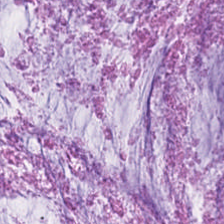H&E. Whole-slide-image patch. Q: What is shown in this field?
A: The field shows extracellular mucin.
